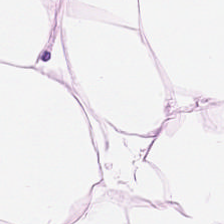Histology → adipose.
